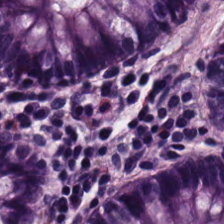Stain: H&E-stained tissue section.
Acquisition: whole-slide-image patch.
Predominant tissue: benign colonic mucosa.
